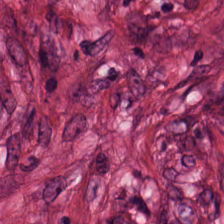FFPE; brightfield; H&E.
The tissue class is desmoplastic stroma.
